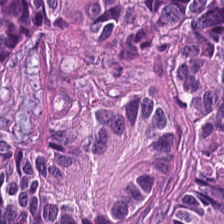Colorectal adenocarcinoma epithelium.
